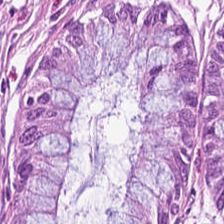Stain: H&E-stained tissue section.
Tissue type: normal colon mucosa.
